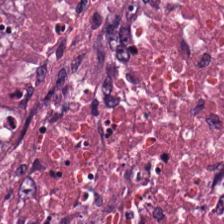Stain: hematoxylin-and-eosin stained section.
Resolution: 0.5 µm per pixel.
Tissue type: necrotic debris.
